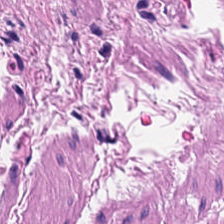224×224 pixel tile. Hematoxylin and eosin. 20× equivalent magnification. The predominant tissue is smooth muscle.
